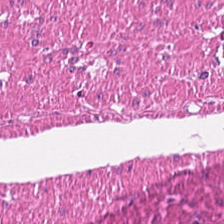H&E-stained tissue section showing muscularis.
